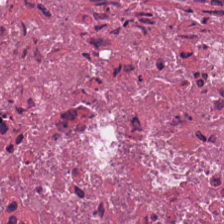Stain: hematoxylin-and-eosin stained section.
Tissue: necrotic debris.
